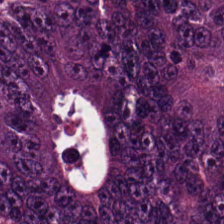224×224 pixel tile · hematoxylin-and-eosin stained section — Predominantly adenocarcinoma.
